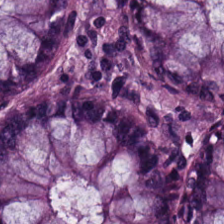Hematoxylin-and-eosin stained section. {"tissue_type": "benign colonic mucosa"}
